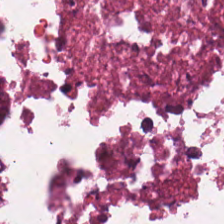H&E. FFPE.
Necrotic debris.
